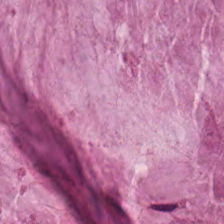H&E. FFPE. This patch shows mucin.
